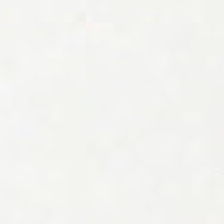H&E — This patch shows background (no tissue).
